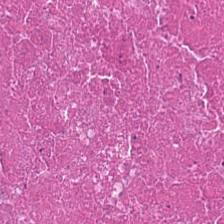Hematoxylin-and-eosin stained section. 0.5 microns per pixel. 224×224 pixel tile. Showing debris.
